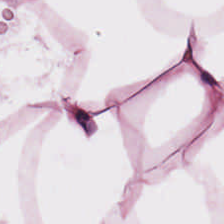H&E-stained tissue section — Histology — adipocytes.
